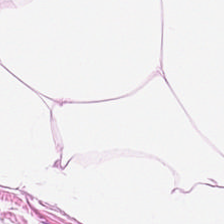H&E. Tissue type = adipocytes.
